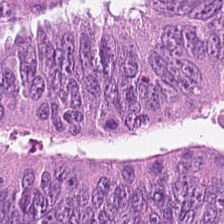Formalin-fixed paraffin-embedded section. Hematoxylin and eosin. Tissue class = colorectal adenocarcinoma epithelium.
